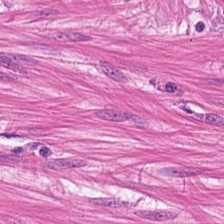Stain: hematoxylin and eosin.
Tissue type: muscularis.
